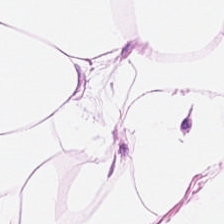Hematoxylin and eosin. Tissue — adipose.
